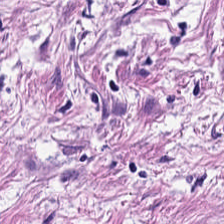Hematoxylin-and-eosin stained section; FFPE tissue section.
{"tissue_type": "tumor-associated stroma"}
